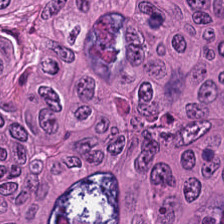WSI patch · H&E stain · 0.5 µm per pixel — Tissue = colorectal adenocarcinoma.
